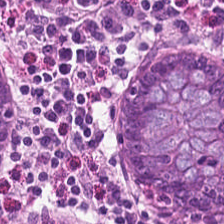H&E; 20× equivalent magnification.
Q: What type of tissue is this?
A: The field shows non-neoplastic colon mucosa.
